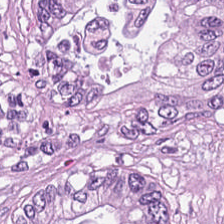Stain: hematoxylin and eosin.
Tissue type: colorectal adenocarcinoma epithelium.
